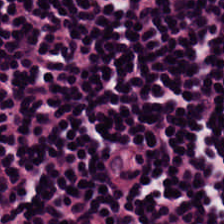224×224 px tile; hematoxylin and eosin; FFPE tissue section. Q: What is the predominant tissue type?
A: Lymphocytic infiltrate.
